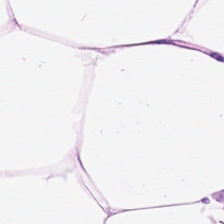Hematoxylin and eosin. Brightfield microscopy. FFPE tissue section.
This patch shows adipose tissue.
